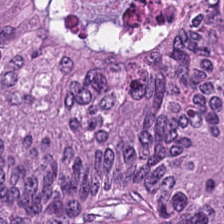H&E stain — The tissue class is tumor epithelium.
